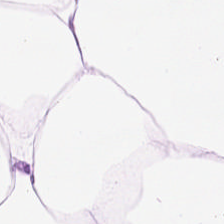H&E stain.
This field is adipocytes.
